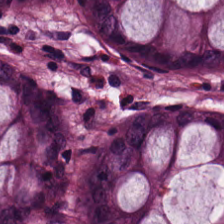H&E stain. Q: What does this patch show?
A: This is normal colon mucosa.
